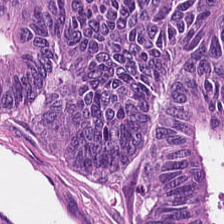224×224 px tile · hematoxylin and eosin. Tissue class: tumor epithelium.
